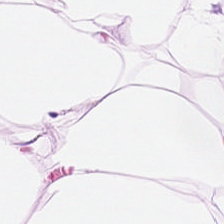Q: What does this patch show?
A: The field shows adipocytes.
